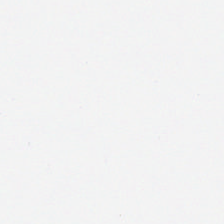Field content = empty background.
